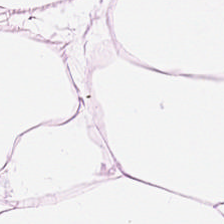Hematoxylin and eosin. 224×224 px tile. Q: Classify this patch.
A: The field shows adipose.
